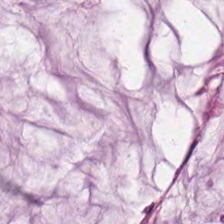The predominant tissue is mucin.
